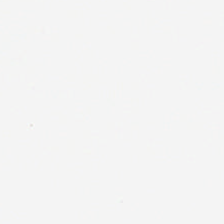Stain: H&E stain.
Resolution: 0.5 microns per pixel.
Classification: empty background.
